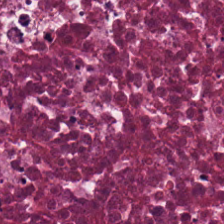H&E stain — Predominantly cellular debris.
